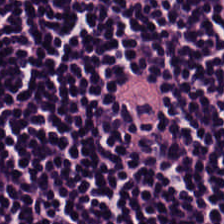H&E stain — Q: What is the predominant tissue type?
A: The field shows lymphocytic infiltrate.
